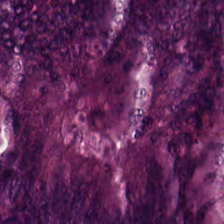0.5 µm/px; brightfield microscopy; H&E stain.
The predominant tissue is malignant epithelium.
